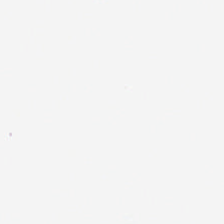H&E-stained tissue section — Background — no tissue in this field.
